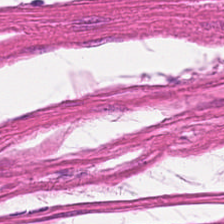H&E stain — Smooth muscle.
